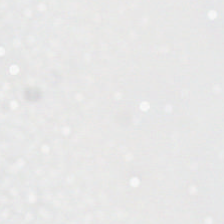Background — no tissue in this field.
